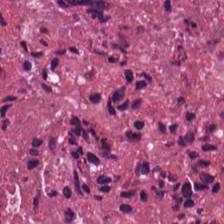224×224 px patch. H&E — The predominant tissue is debris.
